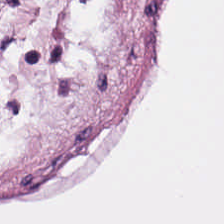Impression → adipose tissue.
